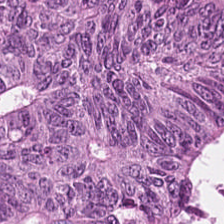20× equivalent magnification; formalin-fixed paraffin-embedded section; hematoxylin and eosin. {"tissue_type": "colorectal adenocarcinoma epithelium"}
